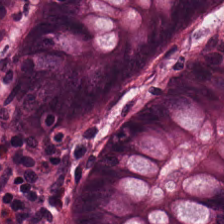Showing normal colonic mucosa.
